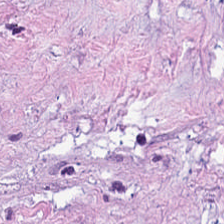H&E. The tissue type is cancer-associated stroma.
